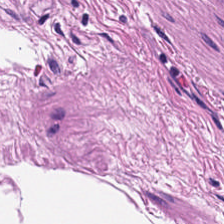Brightfield microscopy; H&E stain — This patch shows muscularis.
